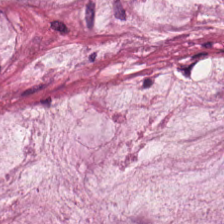Showing mucin.
